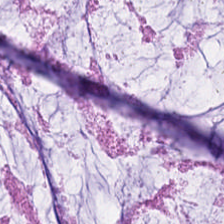Stain: hematoxylin-and-eosin stained section.
Classification: mucin.
